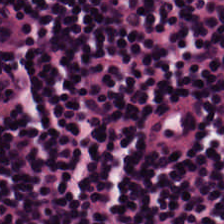Stain: H&E.
Predominant tissue: lymphocyte aggregate.
